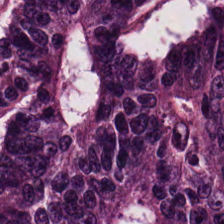Colorectal adenocarcinoma epithelium.
